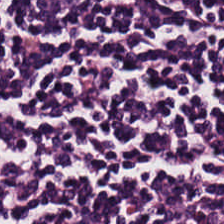Predominantly lymphoid infiltrate.
